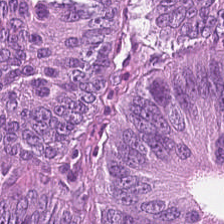H&E · FFPE · 0.5 microns per pixel.
Q: What is shown in this field?
A: The field shows colorectal adenocarcinoma.
